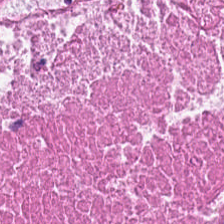H&E-stained tissue section · 224×224 pixel tile.
Q: What is shown here?
A: Debris.
